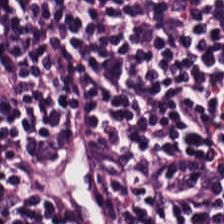Predominantly lymphocyte aggregate.
